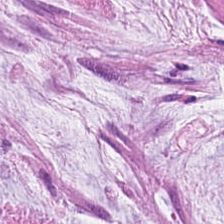Stain: H&E-stained tissue section.
Resolution: 0.5 µm/px.
Tissue: mucin.
